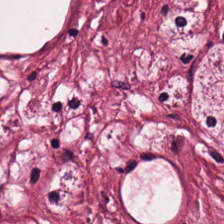Stain: hematoxylin and eosin.
Tissue class: tumor-associated stroma.
